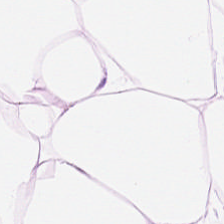Hematoxylin and eosin.
{"tissue_type": "adipocytes"}
